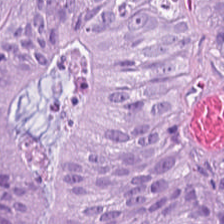Stain: hematoxylin-and-eosin stained section.
Predominant tissue: colorectal adenocarcinoma epithelium.
